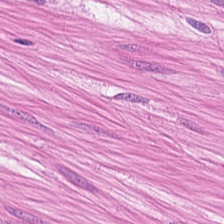Tissue class — smooth-muscle tissue.
